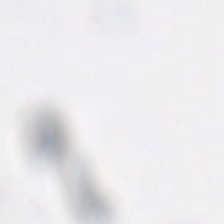The field content is background (no tissue).
